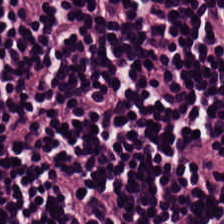H&E; 224×224 px tile; 20× equivalent magnification. {"tissue_type": "lymphocyte aggregate"}
